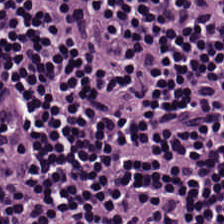H&E patch showing lymphocytic infiltrate.
